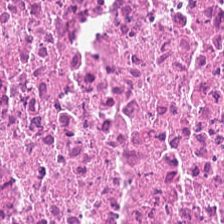224×224 pixel tile. Hematoxylin-and-eosin stained section. Whole-slide-image patch — Debris.
